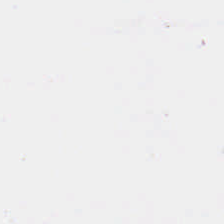The field content is empty background.
